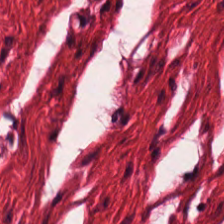Q: Classify this patch.
A: It is smooth-muscle tissue.
